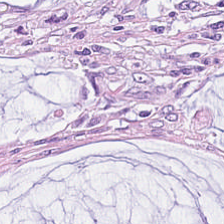H&E. The predominant tissue is mucus.
